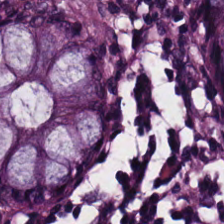H&E-stained tissue section.
The tissue type is normal colonic mucosa.
